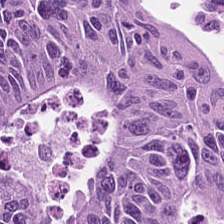H&E — Predominant tissue: adenocarcinoma.
